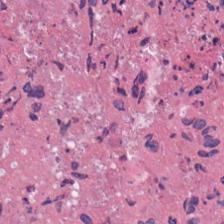Tissue type: cellular debris.
